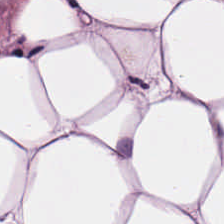H&E — Showing adipose tissue.
